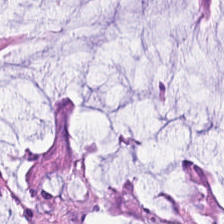H&E stain; formalin-fixed paraffin-embedded section.
Q: What type of tissue is this?
A: The field shows mucus.
